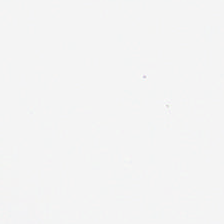Hematoxylin and eosin. Brightfield.
Field content = no tissue.
